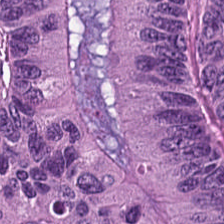Formalin-fixed paraffin-embedded section. H&E stain. 0.5 microns per pixel.
Predominant tissue — colorectal adenocarcinoma.
